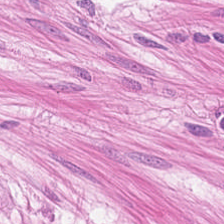224×224 px tile; H&E stain; 0.5 µm per pixel — Tissue type — muscularis.
